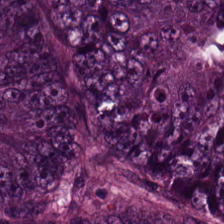H&E.
Tissue type: colorectal adenocarcinoma.
